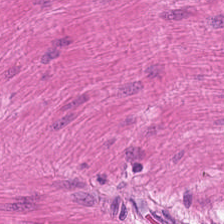H&E — Histology — muscularis.
